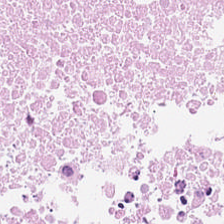H&E.
Predominant tissue = debris.
